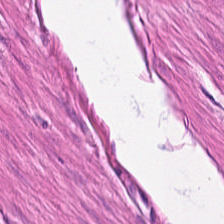Hematoxylin-and-eosin stained section; 224×224 px patch.
The tissue type is smooth-muscle tissue.
